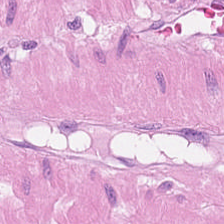Stain: hematoxylin-and-eosin stained section.
Tissue type: smooth muscle.
